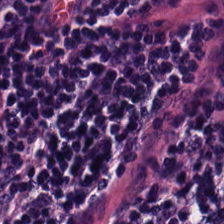Brightfield. H&E.
Classification = lymphocytic infiltrate.
